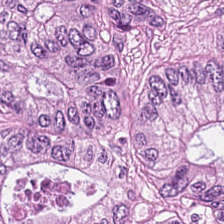H&E; WSI patch. Predominant tissue: adenocarcinoma.
